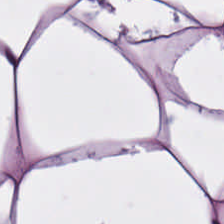Stain: H&E-stained tissue section.
Predominant tissue: fat tissue.
